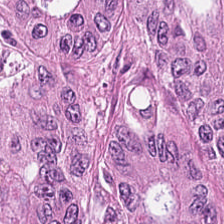Predominant tissue: tumor epithelium.
